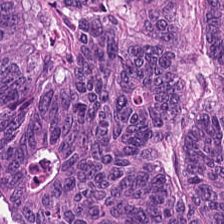Q: What is the predominant tissue type?
A: Malignant epithelium.
